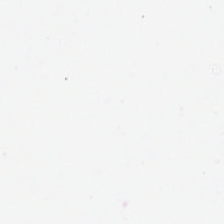Q: Classify this patch.
A: The field shows background (no tissue).
